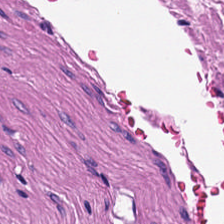Histology — smooth muscle.
